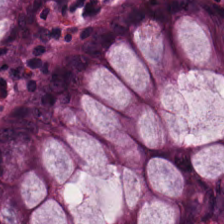Stain: H&E stain.
Tissue class: non-neoplastic colon mucosa.
